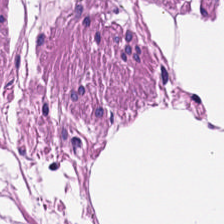H&E stain. Q: What is shown here?
A: This is smooth muscle.
